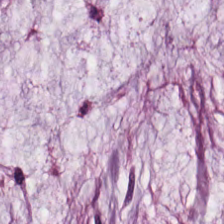Hematoxylin-and-eosin stained section — The classification is extracellular mucin.
